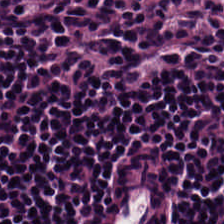The predominant tissue is lymphocytes.
